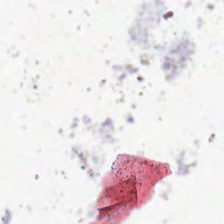H&E stain.
This field is background (no tissue).
